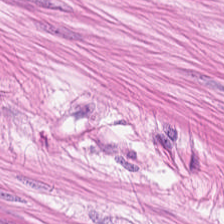Q: What tissue is shown?
A: This is smooth-muscle tissue.
